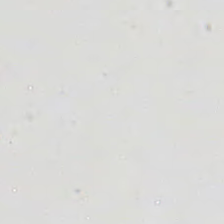Stain: H&E stain.
Acquisition: brightfield microscopy.
Preparation: FFPE tissue section.
Field content: background.
